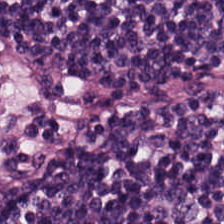Hematoxylin and eosin. Tissue class = lymphoid infiltrate.
